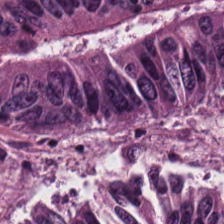H&E-stained tissue section.
Finding — adenocarcinoma.
